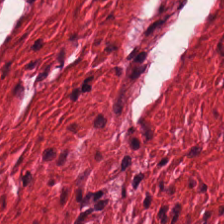FFPE tissue section; hematoxylin-and-eosin stained section. Tissue class: smooth-muscle tissue.
